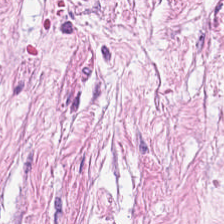Hematoxylin and eosin.
Showing cancer-associated stroma.
